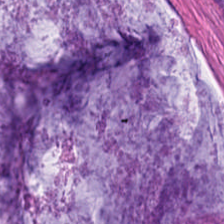224×224 px tile · H&E-stained tissue section — Mucin.
